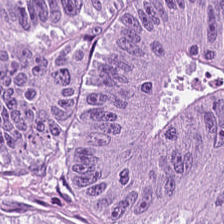0.5 µm/px; hematoxylin and eosin. The predominant tissue is malignant epithelium.
